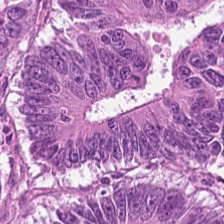Stain: hematoxylin-and-eosin stained section.
Tissue class: adenocarcinoma.
